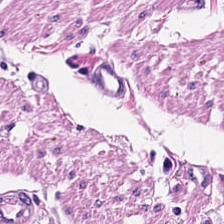Hematoxylin and eosin.
Impression — smooth-muscle tissue.
